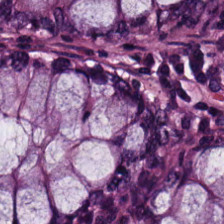H&E-stained tissue section.
Tissue type — normal colonic mucosa.
